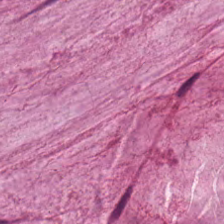Hematoxylin and eosin.
Finding → mucus.
